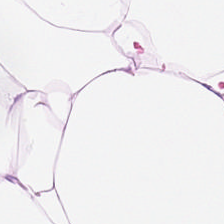H&E-stained tissue section. Tissue type: adipose.
